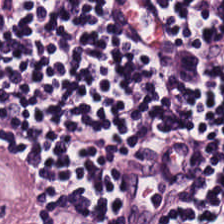Brightfield microscopy. FFPE. H&E-stained tissue section. Predominantly lymphocytes.
